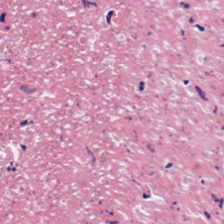H&E; whole-slide-image patch — Histology → necrotic debris.
